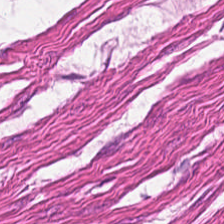H&E · 224×224 pixel tile.
The tissue is smooth-muscle tissue.
